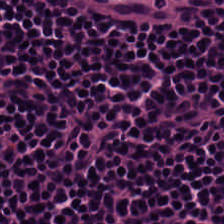H&E stain. FFPE.
Finding — lymphocyte aggregate.
